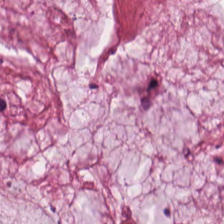The tissue is mucus.
